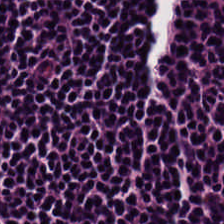The tissue here is lymphocytic infiltrate.
